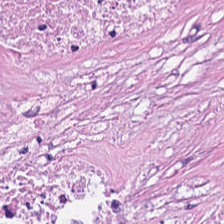H&E-stained tissue section. Brightfield microscopy. 224×224 pixel tile.
Showing debris.
